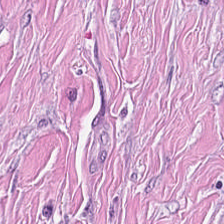Showing tumor-associated stroma.
